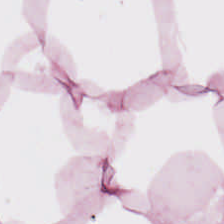H&E; 0.5 µm/px; whole-slide-image patch — Showing adipose.
